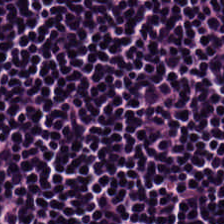H&E.
Histology — lymphocytes.
